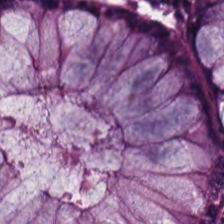Tissue class = normal colonic mucosa.
